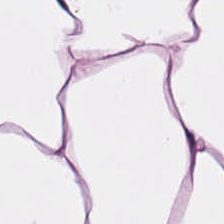224×224 px patch; H&E-stained tissue section.
Histology → adipose.
